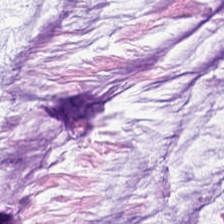Brightfield · hematoxylin-and-eosin stained section — Tissue — mucus.
